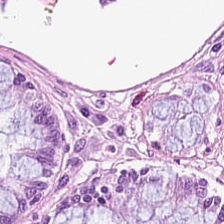H&E. Impression — non-neoplastic colon mucosa.
